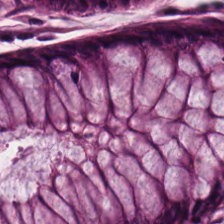Hematoxylin-and-eosin stained section; WSI patch. Predominantly benign colonic mucosa.
